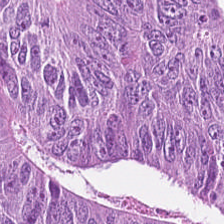Tissue class = tumor epithelium.
